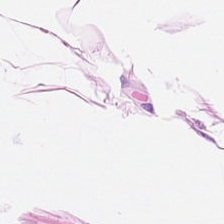Stain: H&E.
Tile size: 224×224 pixel tile.
Tissue class: adipocytes.
